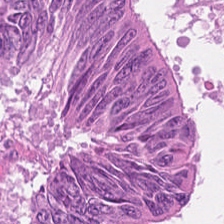H&E stain — Q: What is the predominant tissue type?
A: This is colorectal adenocarcinoma epithelium.
